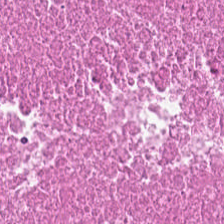Hematoxylin-and-eosin stained section; FFPE. Predominantly cellular debris.
